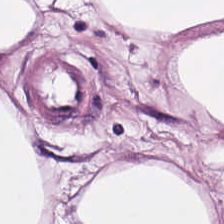0.5 microns per pixel; hematoxylin and eosin. The tissue here is adipose.
